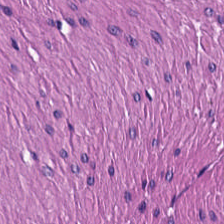H&E-stained tissue section showing smooth muscle.
